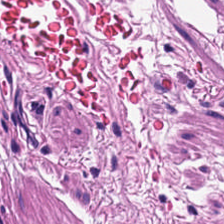H&E stain; 0.5 µm/px — Showing smooth muscle.
